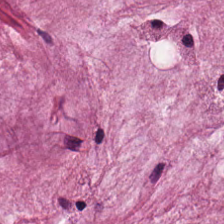H&E.
Histology — mucus.
